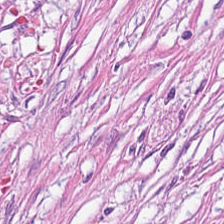H&E.
Histology → tumor-associated stroma.
